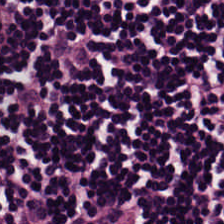0.5 µm per pixel; H&E; FFPE.
Classification: lymphoid infiltrate.
